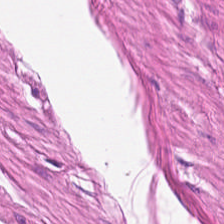Hematoxylin-and-eosin stained section; 20× equivalent magnification.
Showing smooth-muscle tissue.
